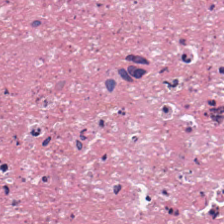H&E stain — Classification: cellular debris.
